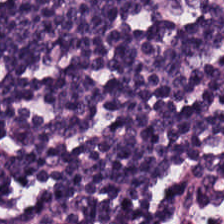Q: What type of tissue is this?
A: The field shows lymphocytes.
